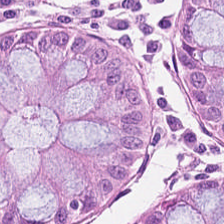Hematoxylin-and-eosin stained section. Formalin-fixed paraffin-embedded section — The classification is benign colonic mucosa.
